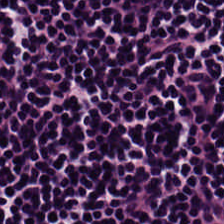Classification = lymphoid infiltrate.
